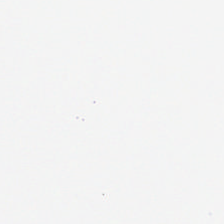Brightfield. H&E stain. FFPE. Q: What does this patch show?
A: This is background (no tissue).
